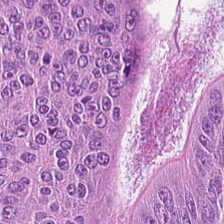Hematoxylin-and-eosin section: colorectal adenocarcinoma.
